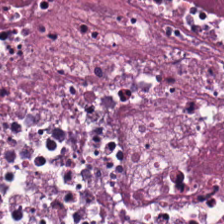Histology — cellular debris.
